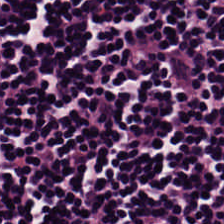Hematoxylin-and-eosin section: lymphocytic infiltrate.
